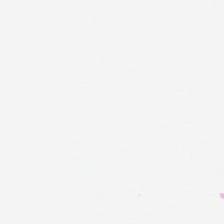Hematoxylin-and-eosin stained section · 0.5 microns per pixel.
The field content is background (no tissue).
